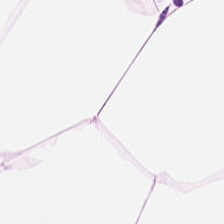H&E-stained tissue section. The tissue type is adipose tissue.
